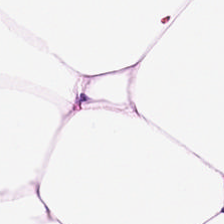224×224 px tile; hematoxylin and eosin; FFPE.
This patch shows adipocytes.
